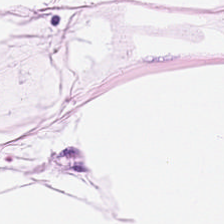Classification: adipose tissue.
